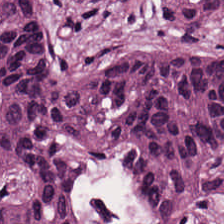Hematoxylin-and-eosin stained section. 0.5 µm per pixel — The tissue here is malignant epithelium.
